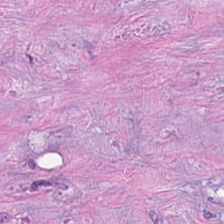Stain: hematoxylin-and-eosin stained section.
Tissue class: cancer-associated stroma.
